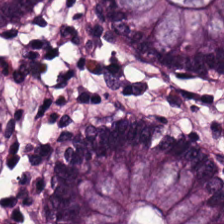Hematoxylin-and-eosin stained section.
This patch shows normal colon mucosa.
